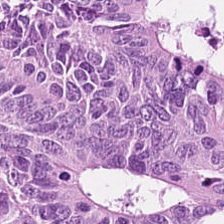Q: Identify the tissue.
A: The field shows malignant epithelium.
